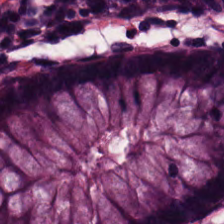H&E stain.
Q: What tissue is shown?
A: Normal colon mucosa.
